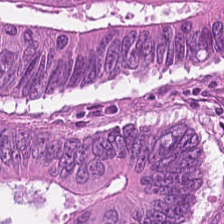This field is malignant epithelium.
